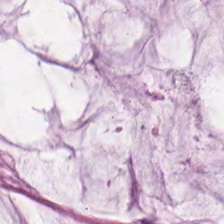224×224 px patch; H&E-stained tissue section; 0.5 microns per pixel — Classification = mucin.
